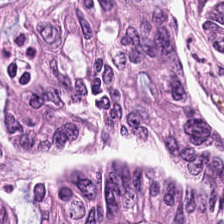H&E stain; brightfield microscopy. Finding — colorectal adenocarcinoma.
